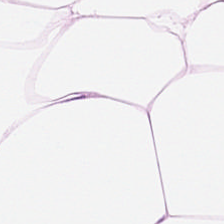H&E-stained tissue section — This patch shows adipose tissue.
